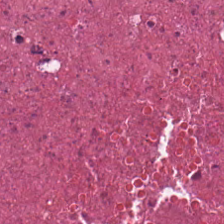FFPE · H&E stain. Cellular debris.
